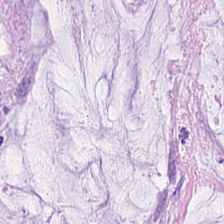{"tissue_type": "mucin"}
